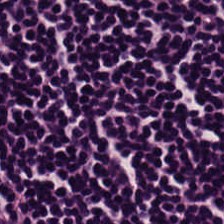Hematoxylin-and-eosin stained section — Predominant tissue: lymphocytic infiltrate.
